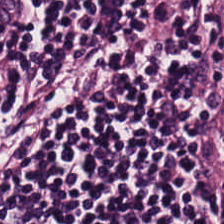WSI patch. 20× equivalent magnification. H&E stain.
{"tissue_type": "lymphocytes"}
